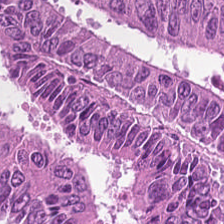Formalin-fixed paraffin-embedded section · hematoxylin-and-eosin stained section.
The tissue type is colorectal adenocarcinoma epithelium.
